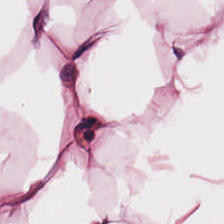Q: Classify this patch.
A: It is adipocytes.
